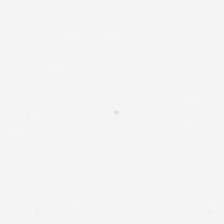Impression — empty background.
